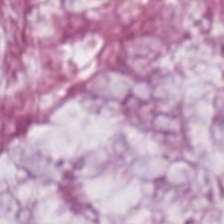H&E stain — Showing mucus.
